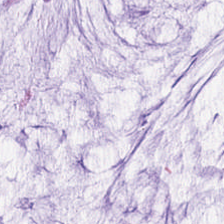224×224 px patch; H&E-stained tissue section; formalin-fixed paraffin-embedded section. Tissue — mucin.
